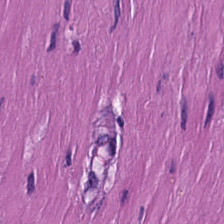H&E-stained tissue section — Showing smooth-muscle tissue.
